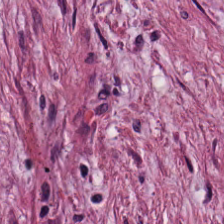Q: What is shown in this field?
A: The field shows tumor-associated stroma.
